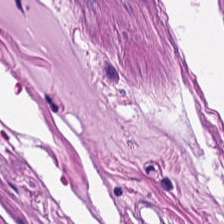H&E stain — Tissue class — smooth muscle.
